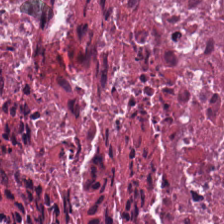Brightfield microscopy; hematoxylin-and-eosin stained section.
Impression — debris.
